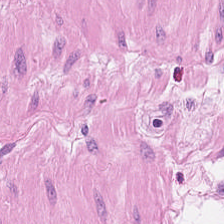Hematoxylin and eosin. The classification is muscularis.
